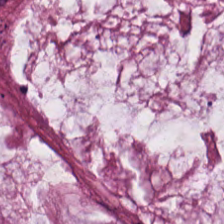Stain: hematoxylin-and-eosin stained section.
Tissue: mucin.
